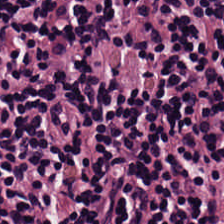Predominant tissue — lymphoid infiltrate.
